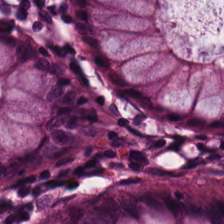Tissue type = benign colonic mucosa.
